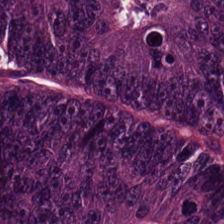0.5 µm per pixel; hematoxylin-and-eosin stained section — Q: What does this patch show?
A: Adenocarcinoma.
